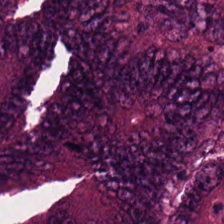H&E-stained tissue section; 0.5 µm per pixel.
The tissue is tumor epithelium.
